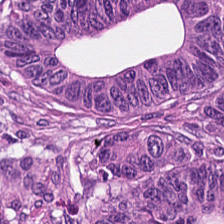H&E stain · FFPE · 224×224 px tile — Histology — colorectal adenocarcinoma.
